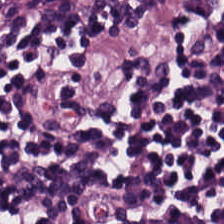H&E stain. Q: What does this patch show?
A: This is lymphocytic infiltrate.
